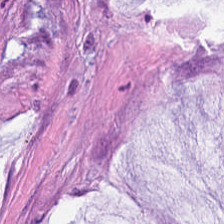Stain: hematoxylin and eosin.
Preparation: formalin-fixed paraffin-embedded section.
Predominant tissue: mucus.
